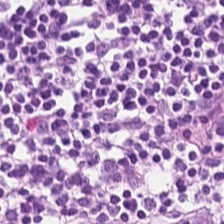0.5 µm per pixel · H&E-stained tissue section · brightfield. {"tissue_type": "lymphocyte aggregate"}
